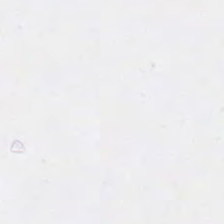H&E-stained tissue section.
The field content is empty background.
